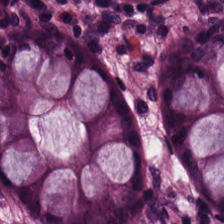H&E stain.
{"tissue_type": "non-neoplastic colon mucosa"}
